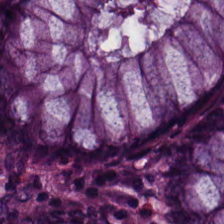H&E stain.
Predominantly normal colonic mucosa.
